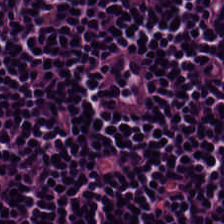Brightfield; H&E stain.
Classification = lymphocyte aggregate.
